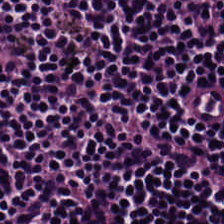Hematoxylin-and-eosin stained section.
Q: What is the predominant tissue type?
A: This is lymphocyte aggregate.
